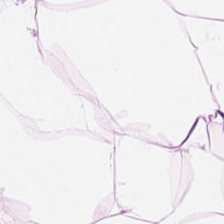224×224 px patch; 0.5 microns per pixel; hematoxylin-and-eosin stained section. Tissue class: adipose tissue.
